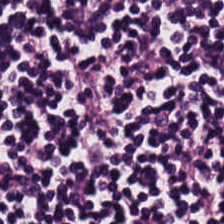Classification = lymphoid infiltrate.
